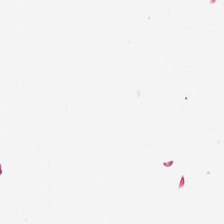FFPE tissue section · hematoxylin and eosin.
Histology — background.
